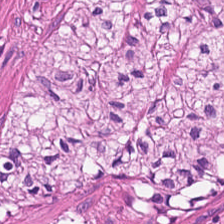0.5 microns per pixel; H&E — This patch shows smooth muscle.
